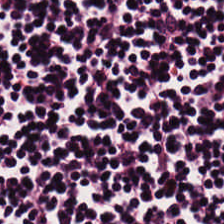H&E-stained tissue section · formalin-fixed paraffin-embedded section. Q: What is shown in this field?
A: Lymphocytes.
